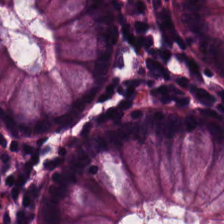H&E-stained tissue section showing non-neoplastic colon mucosa.
